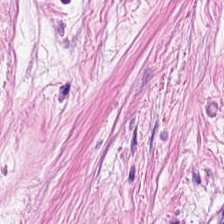H&E.
{"tissue_type": "desmoplastic stroma"}
